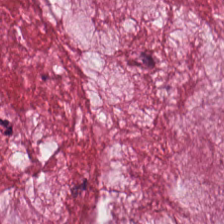Brightfield; hematoxylin-and-eosin stained section.
Q: What is shown here?
A: This is extracellular mucin.
